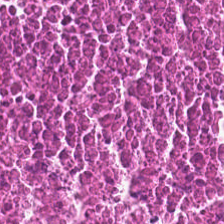H&E-stained tissue section; brightfield; 0.5 µm per pixel.
Predominant tissue = cellular debris.
